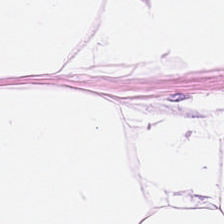Stain: H&E.
Resolution: 20× equivalent magnification.
Classification: adipocytes.
